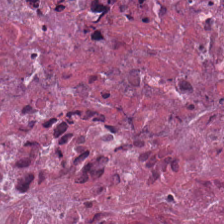Hematoxylin and eosin.
This field is debris.
